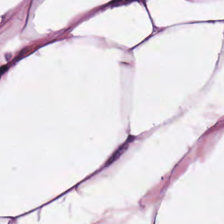20× equivalent magnification. Hematoxylin and eosin — Impression → adipocytes.
